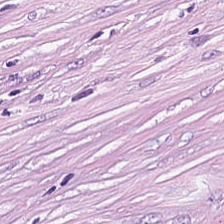H&E-stained tissue section. The tissue class is desmoplastic stroma.
